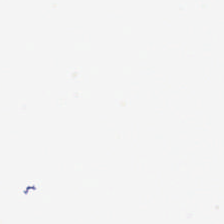H&E-stained tissue section. FFPE — Q: What does this patch show?
A: It is empty background.
